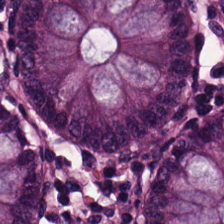FFPE tissue section · H&E stain.
This patch shows normal colonic mucosa.
